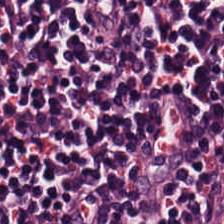H&E stain — The tissue class is lymphocytic infiltrate.
